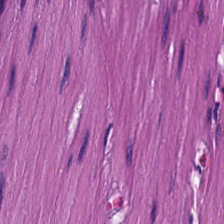Tissue class = muscularis.
